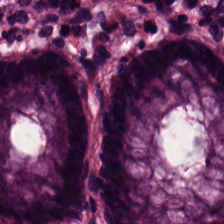H&E stain. Histology → normal colonic mucosa.
